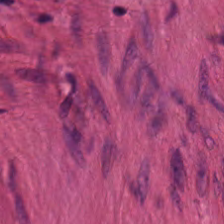Hematoxylin-and-eosin stained section — This field is smooth-muscle tissue.
